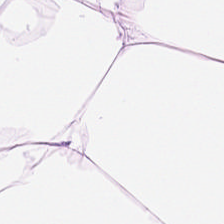Stain: hematoxylin-and-eosin stained section.
Resolution: 20× equivalent magnification.
Tile size: 224×224 px patch.
Predominant tissue: adipocytes.
